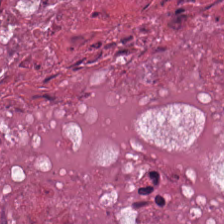Stain: H&E stain.
Preparation: formalin-fixed paraffin-embedded section.
Tissue type: necrotic debris.
